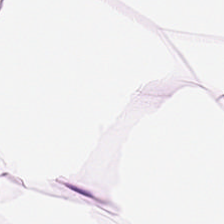The classification is fat tissue.
